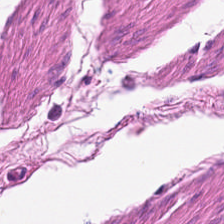Stain: H&E-stained tissue section.
Acquisition: brightfield microscopy.
Tile size: 224×224 px tile.
Tissue class: smooth muscle.
